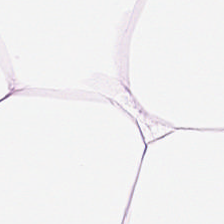Stain: H&E stain.
Tissue class: adipocytes.
